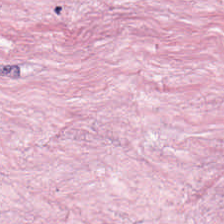H&E. Finding — cancer-associated stroma.
